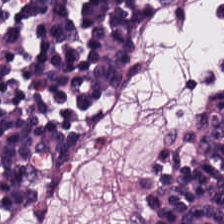Hematoxylin and eosin · FFPE tissue section · brightfield microscopy. Histology → lymphocytic infiltrate.
